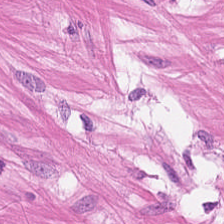224×224 pixel tile; hematoxylin and eosin; WSI patch. The tissue class is smooth muscle.
